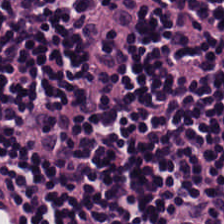H&E — lymphocytic infiltrate.
